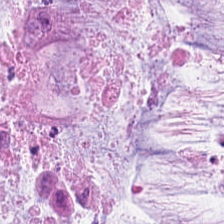0.5 microns per pixel. H&E — Q: Identify the tissue.
A: This is extracellular mucin.
